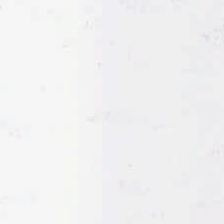H&E.
The classification is background.
